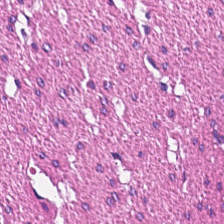Hematoxylin-and-eosin stained section — Q: What tissue type is shown here?
A: This is smooth-muscle tissue.
